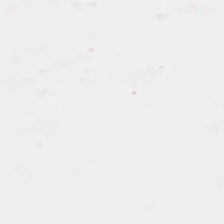Hematoxylin and eosin. 224×224 pixel tile.
This patch shows background.
